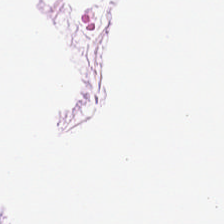H&E stain. Brightfield microscopy. Q: What type of tissue is this?
A: The field shows fat tissue.
